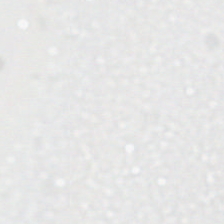224×224 px patch. 0.5 µm per pixel. H&E-stained tissue section. This patch shows background.
